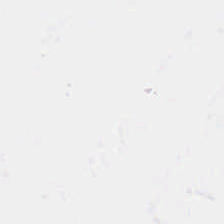No tissue.
